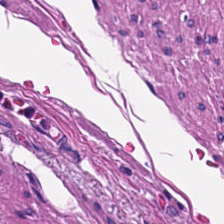Hematoxylin-and-eosin stained section · brightfield — This patch shows smooth-muscle tissue.
